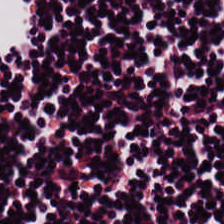H&E patch showing lymphocytes.
